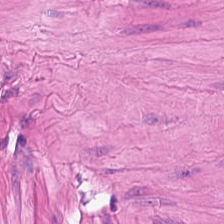H&E-stained tissue section.
Q: What tissue is shown?
A: The field shows smooth-muscle tissue.
